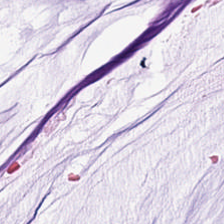H&E-stained tissue section — The tissue is mucus.
